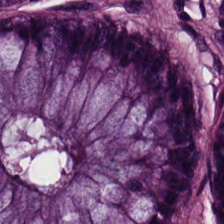H&E-stained tissue section — The tissue class is non-neoplastic colon mucosa.
